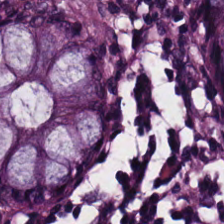H&E · brightfield. Tissue class — benign colonic mucosa.
